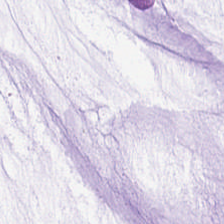Hematoxylin-and-eosin stained section; 224×224 px patch; brightfield microscopy.
Histology → extracellular mucin.
